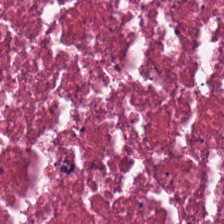0.5 µm/px; brightfield; hematoxylin-and-eosin stained section. Q: What does this patch show?
A: This is debris.
